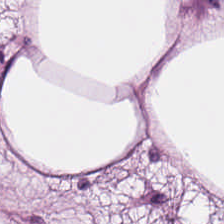FFPE. H&E. Classification = adipose tissue.
